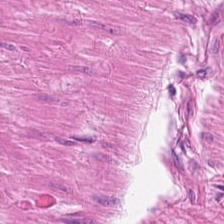Stain: H&E stain.
Predominant tissue: smooth muscle.
